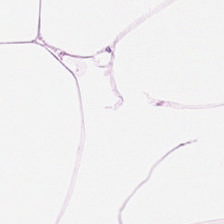Formalin-fixed paraffin-embedded section · 0.5 µm/px · hematoxylin and eosin — Predominant tissue: adipocytes.
